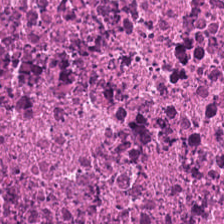Hematoxylin-and-eosin stained section. Classification — debris.
